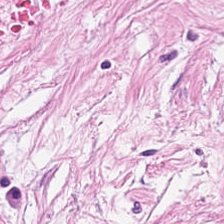H&E; 0.5 microns per pixel — {"tissue_type": "tumor stroma"}
